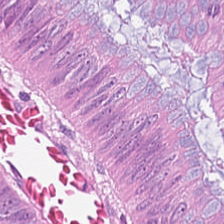Stain: H&E stain.
Tissue type: malignant epithelium.
